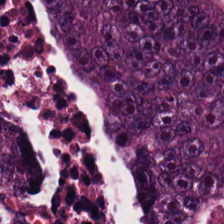FFPE · H&E stain · 0.5 microns per pixel.
This field is tumor epithelium.
